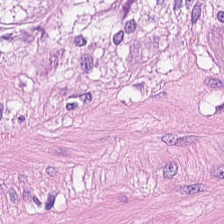Brightfield microscopy; H&E stain. Q: What tissue type is shown here?
A: Muscularis.
